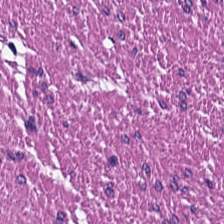Hematoxylin-and-eosin section: muscularis.
